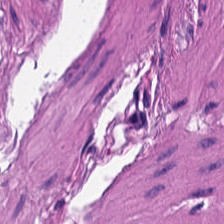224×224 pixel tile · whole-slide-image patch · H&E stain.
The tissue type is muscularis.
